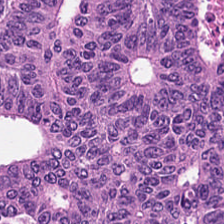Q: What does this patch show?
A: It is colorectal adenocarcinoma epithelium.
